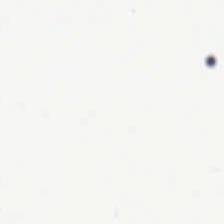Field content — no tissue.
